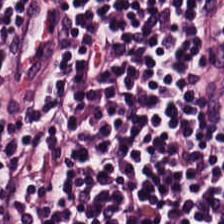H&E stain. Showing lymphoid infiltrate.
